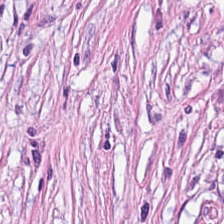H&E-stained tissue section.
{"tissue_type": "tumor stroma"}
